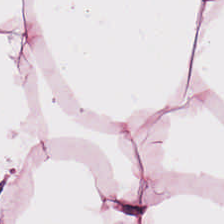0.5 µm per pixel. Hematoxylin and eosin — Tissue = adipose tissue.
